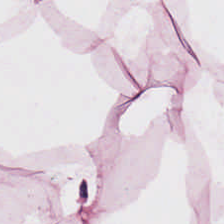Stain: H&E-stained tissue section.
Acquisition: brightfield microscopy.
Classification: adipose tissue.
